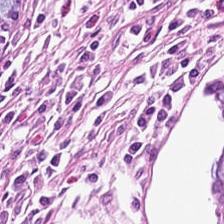Hematoxylin-and-eosin stained section. 224×224 pixel tile. Predominant tissue: non-neoplastic colon mucosa.
